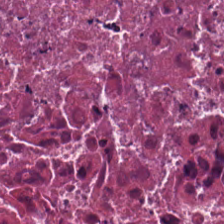H&E-stained tissue section — The tissue is debris.
